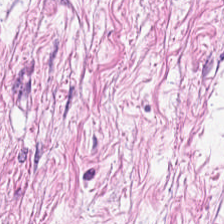Q: What type of tissue is this?
A: This is cancer-associated stroma.
